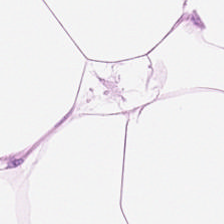224×224 pixel tile · 0.5 microns per pixel · hematoxylin-and-eosin stained section — The tissue is adipocytes.
